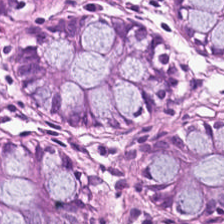This patch shows benign colonic mucosa.
